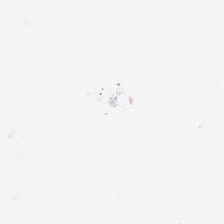Stain: H&E-stained tissue section.
Field content: empty background.
